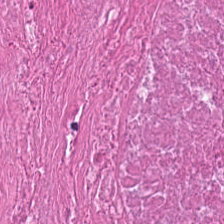Q: What tissue type is shown here?
A: It is cellular debris.
